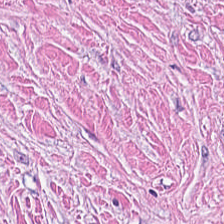Finding → desmoplastic stroma.
